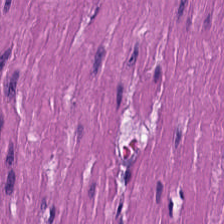H&E stain · FFPE · 20× equivalent magnification — Showing smooth-muscle tissue.
